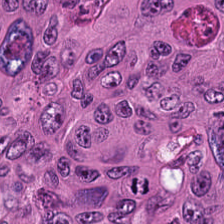H&E stain — Impression — colorectal adenocarcinoma.
